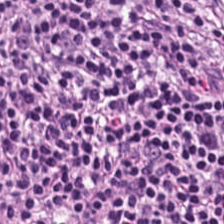Stain: hematoxylin-and-eosin stained section.
Tile size: 224×224 px patch.
Acquisition: brightfield.
Classification: lymphocytic infiltrate.
